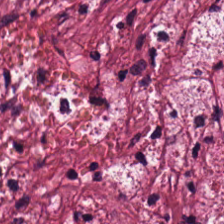H&E.
Tissue type — tumor stroma.
